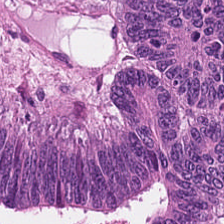Hematoxylin and eosin — This field is colorectal adenocarcinoma epithelium.
